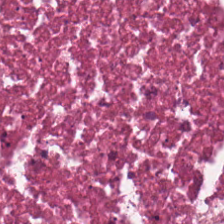H&E · 224×224 px tile.
This field is cellular debris.
